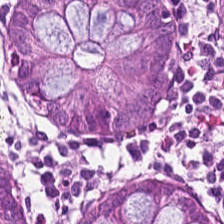224×224 px patch; FFPE tissue section; hematoxylin and eosin.
Predominantly benign colonic mucosa.
